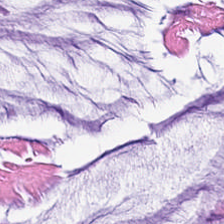H&E — Q: What is shown in this field?
A: It is mucin.
